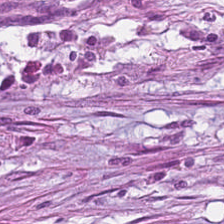Brightfield · H&E stain. Predominant tissue — tumor-associated stroma.
